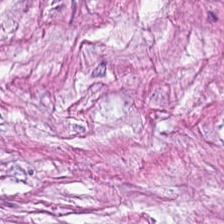WSI patch · 0.5 µm per pixel · H&E stain. Tissue class = tumor-associated stroma.
